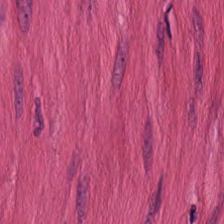H&E-stained tissue section. 224×224 pixel tile. Brightfield — Q: What is shown here?
A: Muscularis.
